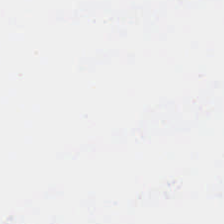224×224 pixel tile; H&E-stained tissue section; 0.5 microns per pixel.
Field content: no tissue.
